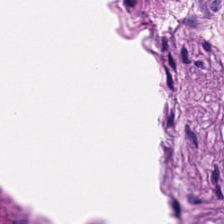0.5 microns per pixel. FFPE. Hematoxylin-and-eosin stained section — Q: What type of tissue is this?
A: This is smooth muscle.
